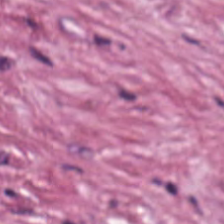H&E — This patch shows tumor stroma.
